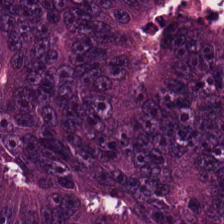Colorectal adenocarcinoma.
